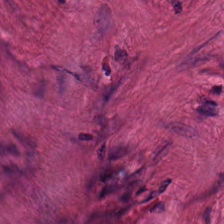Smooth-muscle tissue.
